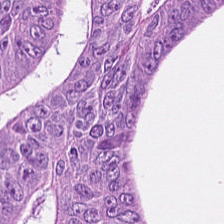0.5 microns per pixel. Hematoxylin and eosin.
The tissue class is colorectal adenocarcinoma.
